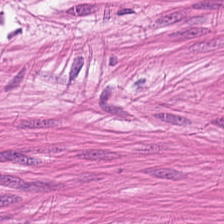H&E-stained tissue section; 0.5 µm/px — Showing muscularis.
